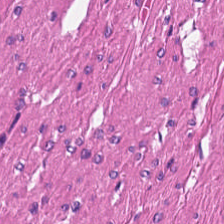H&E — Classification: muscularis.
